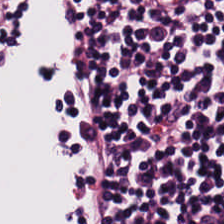Hematoxylin-and-eosin stained section — Impression → lymphocytic infiltrate.
